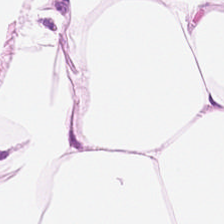H&E-stained tissue section. Impression — adipose tissue.
